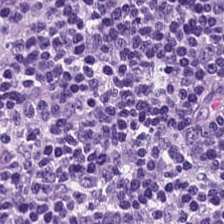H&E stain. 0.5 µm/px — Predominant tissue: lymphocyte aggregate.
